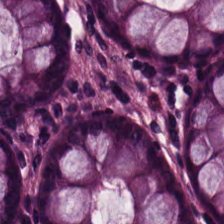Hematoxylin-and-eosin stained section — Normal colonic mucosa.
